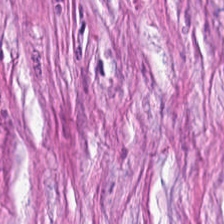FFPE tissue section; brightfield microscopy; H&E stain — The predominant tissue is tumor-associated stroma.
